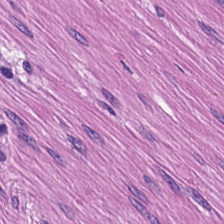Hematoxylin and eosin.
Tissue = smooth-muscle tissue.
